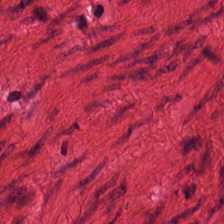Hematoxylin and eosin.
Predominant tissue — muscularis.
